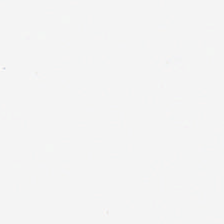WSI patch; 0.5 µm/px; hematoxylin-and-eosin stained section.
This patch shows background.
